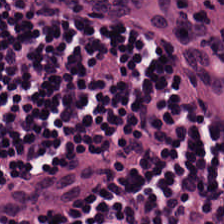H&E; FFPE. Predominantly lymphocytes.
